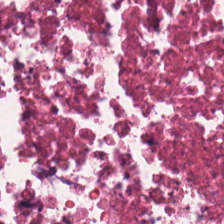H&E stain; FFPE tissue section; 224×224 px tile. Showing debris.
